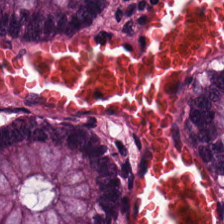H&E patch showing normal colonic mucosa.
